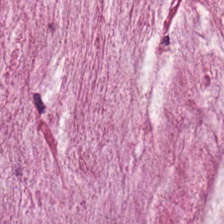Hematoxylin and eosin.
Q: What tissue type is shown here?
A: The field shows mucin.
